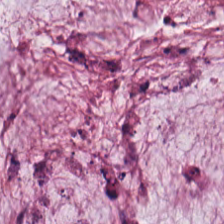H&E.
This field is extracellular mucin.
